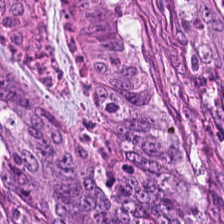Formalin-fixed paraffin-embedded section; hematoxylin and eosin.
Q: What does this patch show?
A: It is malignant epithelium.
